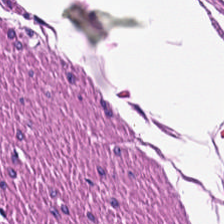The tissue is muscularis.
